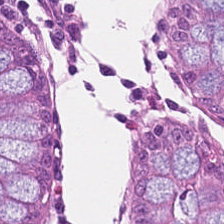224×224 pixel tile. Hematoxylin-and-eosin stained section. WSI patch.
The predominant tissue is normal colon mucosa.
